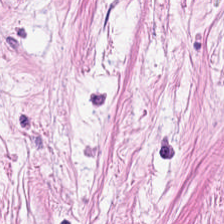Classification: desmoplastic stroma.
